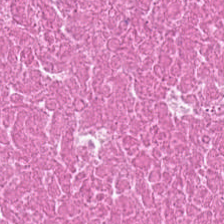H&E — debris.
